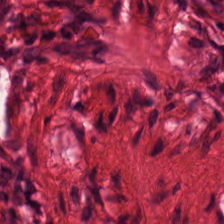H&E — Showing smooth-muscle tissue.
